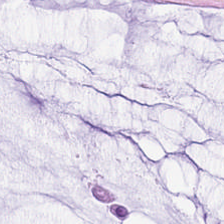0.5 µm per pixel. Hematoxylin-and-eosin stained section — This patch shows mucus.
